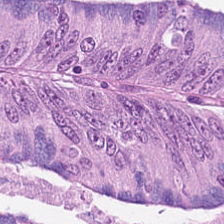Hematoxylin-and-eosin stained section · 224×224 px patch · FFPE tissue section. Classification: malignant epithelium.
